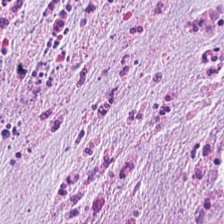Q: What does this patch show?
A: The field shows desmoplastic stroma.
